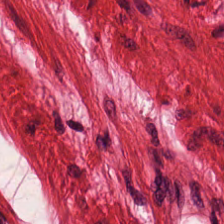Stain: H&E-stained tissue section.
Predominant tissue: smooth muscle.
